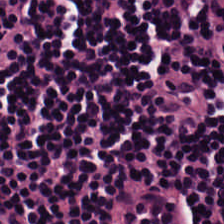H&E stain · 224×224 pixel tile · 0.5 microns per pixel — Q: Classify this patch.
A: Lymphocytic infiltrate.
